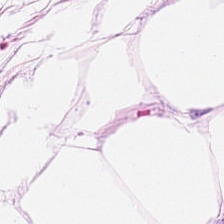This field is adipose tissue.
